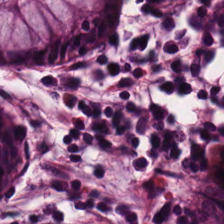Whole-slide-image patch; 224×224 px tile; H&E-stained tissue section — Predominant tissue: non-neoplastic colon mucosa.
